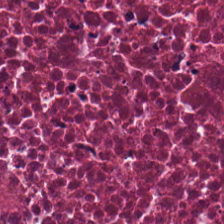Hematoxylin and eosin. Whole-slide-image patch. 0.5 microns per pixel. Tissue = debris.
